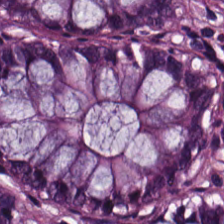{"tissue_type": "benign colonic mucosa"}
